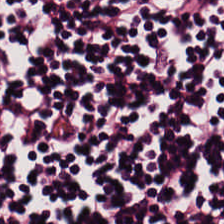Stain: H&E-stained tissue section.
Classification: lymphocyte aggregate.
